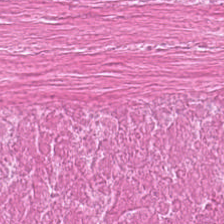Q: What tissue type is shown here?
A: The field shows cellular debris.
